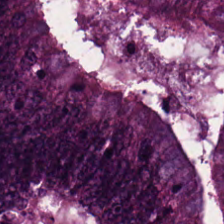H&E-stained tissue section — This field is adenocarcinoma.
